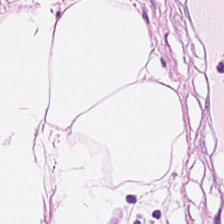H&E.
Predominantly fat tissue.
